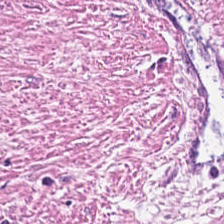Stain: hematoxylin and eosin.
Tissue class: cancer-associated stroma.
